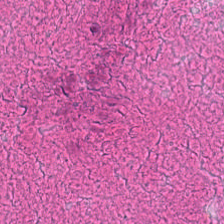H&E stain. Predominant tissue — necrotic debris.
